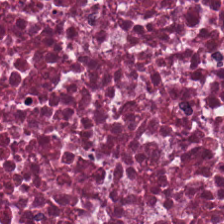H&E stain.
The tissue here is cellular debris.
